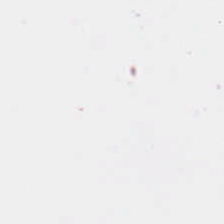H&E-stained tissue section. This field is background (no tissue).
